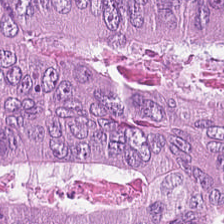Predominant tissue — colorectal adenocarcinoma epithelium.
